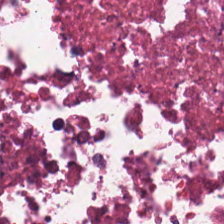This field is cellular debris.
